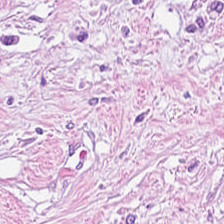Hematoxylin-and-eosin stained section · 0.5 microns per pixel. Showing tumor-associated stroma.
